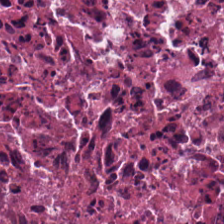Stain: H&E stain.
Classification: cellular debris.
